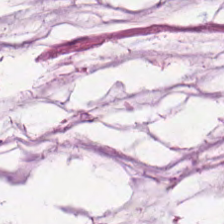Histology → mucus.
